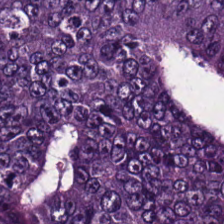Hematoxylin-and-eosin stained section; 0.5 microns per pixel; 224×224 px tile. Finding — colorectal adenocarcinoma epithelium.
